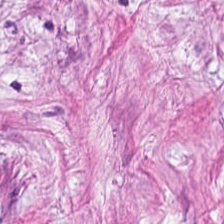0.5 µm/px. Hematoxylin and eosin.
Tissue type: tumor stroma.
